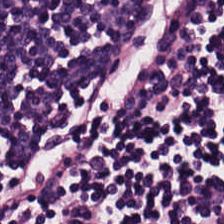H&E · brightfield microscopy.
The predominant tissue is lymphocyte aggregate.
